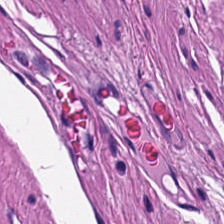Q: What tissue is shown?
A: The field shows smooth-muscle tissue.
